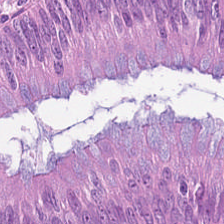H&E stain. The tissue here is tumor epithelium.
